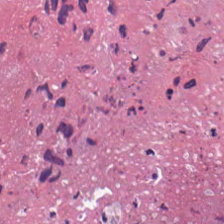Hematoxylin and eosin — Tissue type = necrotic debris.
